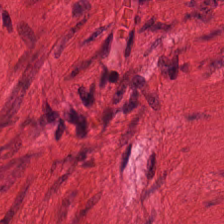Hematoxylin-and-eosin stained section — Smooth-muscle tissue.
